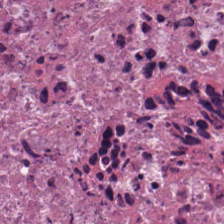H&E-stained tissue section.
The tissue here is debris.
